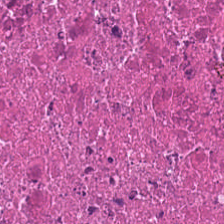Brightfield microscopy; 0.5 µm/px; H&E.
Classification: debris.
